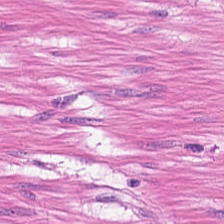Predominantly muscularis.
